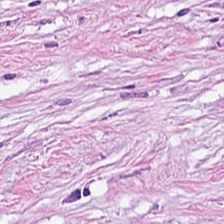H&E patch showing tumor stroma.
